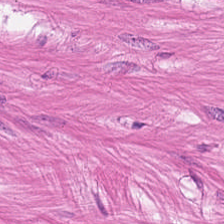Predominantly smooth-muscle tissue.
